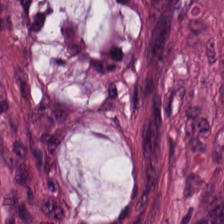H&E-stained tissue section · whole-slide-image patch.
Colorectal adenocarcinoma.
